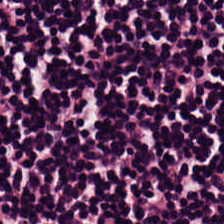Hematoxylin and eosin — This patch shows lymphocytic infiltrate.
